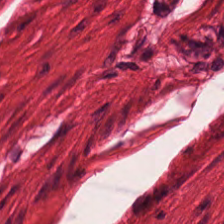Q: What tissue is shown?
A: This is smooth-muscle tissue.
